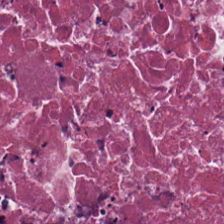0.5 microns per pixel; H&E.
The predominant tissue is cellular debris.
